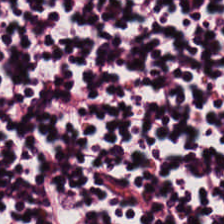0.5 microns per pixel. Hematoxylin-and-eosin stained section — Predominantly lymphocytes.
